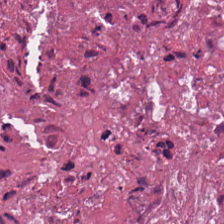H&E stain; formalin-fixed paraffin-embedded section.
Tissue class = debris.
